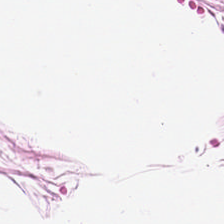H&E stain.
{"tissue_type": "fat tissue"}
